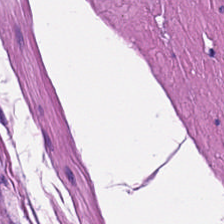Stain: hematoxylin-and-eosin stained section.
Tissue class: muscularis.
